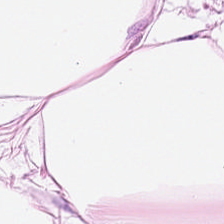H&E-stained tissue section; 224×224 px patch — {"tissue_type": "adipose"}
